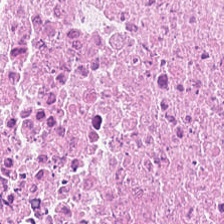Q: What is shown here?
A: This is debris.
